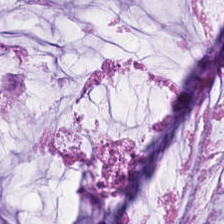Hematoxylin and eosin. Predominant tissue — mucin.
